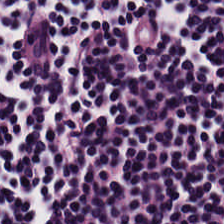Brightfield microscopy; 0.5 microns per pixel; H&E — Q: Classify this patch.
A: This is lymphocyte aggregate.
